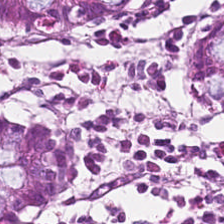H&E-stained tissue section.
Histology → normal colonic mucosa.
